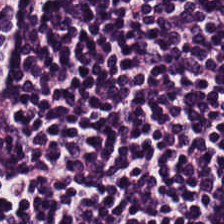Hematoxylin-and-eosin stained section. Formalin-fixed paraffin-embedded section. WSI patch — Showing lymphoid infiltrate.
